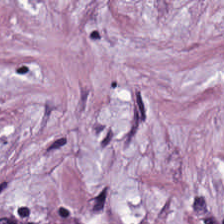Impression — desmoplastic stroma.
